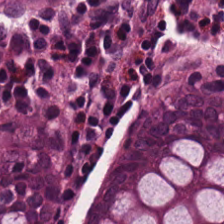FFPE tissue section · hematoxylin and eosin. Q: What tissue type is shown here?
A: This is normal colonic mucosa.
